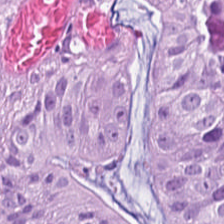20× equivalent magnification · 224×224 px patch · hematoxylin and eosin.
Tissue class: tumor epithelium.
